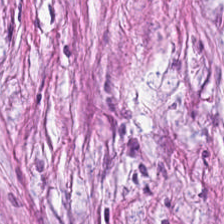H&E-stained tissue section. Q: Identify the tissue.
A: Desmoplastic stroma.
